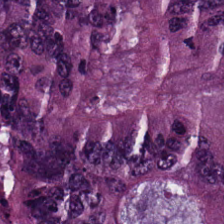Hematoxylin-and-eosin stained section. Classification — colorectal adenocarcinoma.
